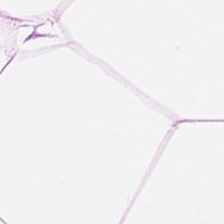WSI patch · hematoxylin and eosin.
Q: What does this patch show?
A: It is adipose tissue.
